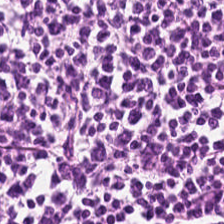Finding — lymphocyte aggregate.
